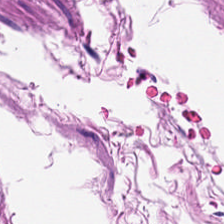Q: What type of tissue is this?
A: The field shows smooth-muscle tissue.
